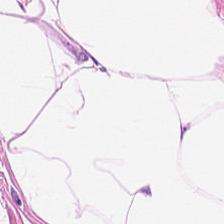Q: What is the predominant tissue type?
A: It is fat tissue.
